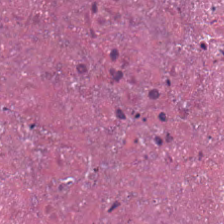Stain: hematoxylin and eosin.
Predominant tissue: debris.
